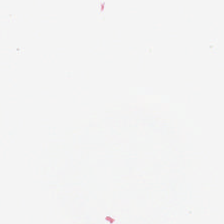Content = empty background.
